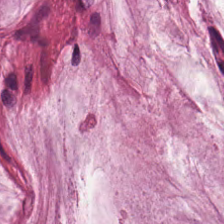Hematoxylin and eosin. 0.5 µm per pixel — The predominant tissue is mucin.
